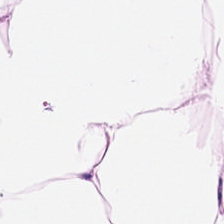0.5 µm/px. Hematoxylin and eosin — Classification = adipose tissue.
